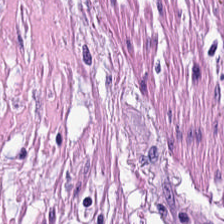Stain: hematoxylin-and-eosin stained section.
Tissue class: smooth-muscle tissue.
